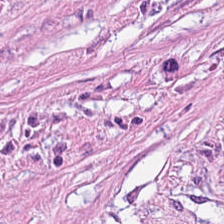Whole-slide-image patch · H&E-stained tissue section. Q: What tissue is shown?
A: The field shows cancer-associated stroma.
